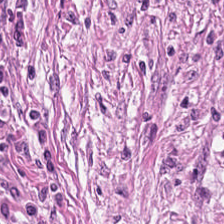H&E-stained tissue section. Tissue: tumor stroma.
